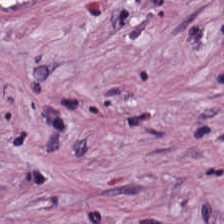FFPE; H&E. {"tissue_type": "desmoplastic stroma"}
